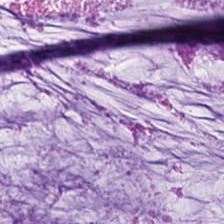Hematoxylin and eosin. WSI patch. 224×224 px patch. Predominantly mucin.
